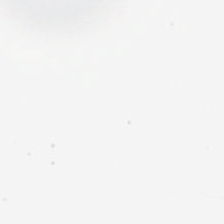Stain: hematoxylin and eosin.
Content: background (no tissue).
